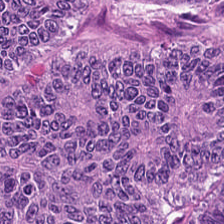Tissue class: colorectal adenocarcinoma.
